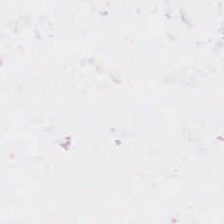Hematoxylin and eosin. This patch shows background.
